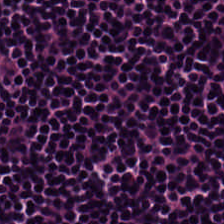Hematoxylin-and-eosin stained section. Lymphoid infiltrate.
